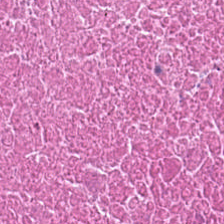H&E-stained tissue section; 0.5 microns per pixel. This field is debris.
